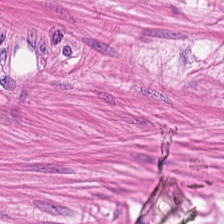H&E stain — This patch shows smooth muscle.
